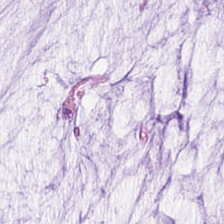H&E stain. Q: What type of tissue is this?
A: This is extracellular mucin.
